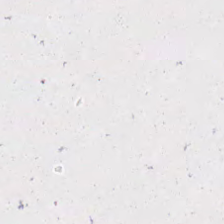Hematoxylin-and-eosin stained section. Brightfield. 0.5 µm per pixel.
This field is background (no tissue).
